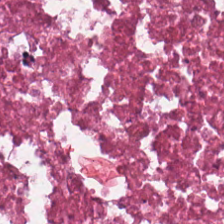H&E.
The tissue type is debris.
